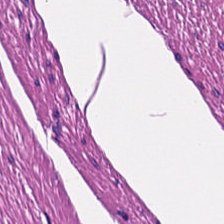Hematoxylin and eosin. Smooth muscle.
